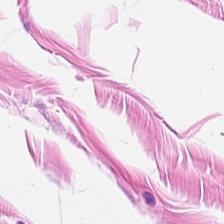Hematoxylin-and-eosin stained section.
Classification = muscularis.
